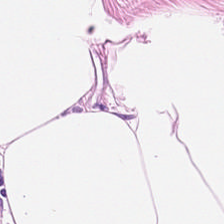0.5 µm per pixel · FFPE tissue section · H&E-stained tissue section — {"tissue_type": "adipose tissue"}
